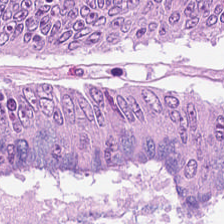H&E.
Showing colorectal adenocarcinoma.
